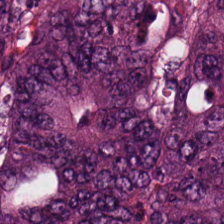H&E. Q: What is shown here?
A: This is colorectal adenocarcinoma.
